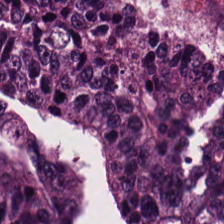Hematoxylin-and-eosin stained section.
Adenocarcinoma.
